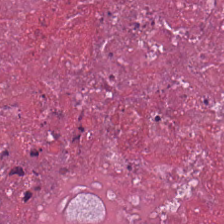H&E-stained tissue section.
The tissue here is debris.
